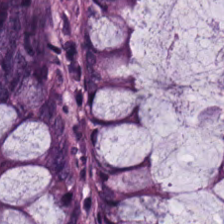Classification — normal colonic mucosa.
